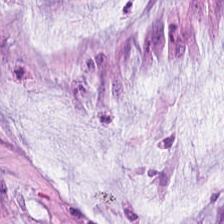Brightfield. H&E stain. Q: What type of tissue is this?
A: Mucus.
